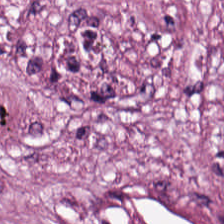Stain: H&E.
Tile size: 224×224 px patch.
Predominant tissue: tumor-associated stroma.
